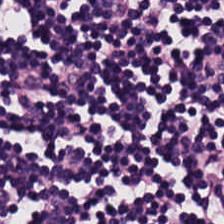Formalin-fixed paraffin-embedded section. Hematoxylin and eosin — Lymphocyte aggregate.
